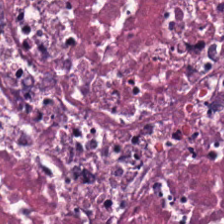Impression → necrotic debris.
